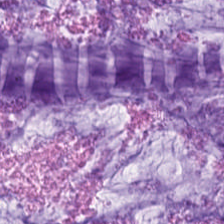Q: What is shown in this field?
A: It is extracellular mucin.
